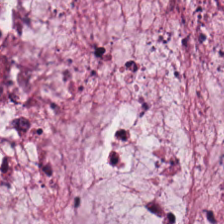Stain: H&E stain.
Tissue class: extracellular mucin.
